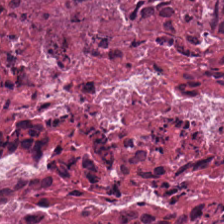Stain: H&E-stained tissue section.
Predominant tissue: debris.
